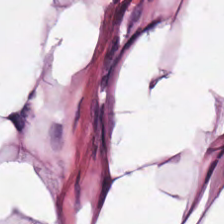Stain: H&E-stained tissue section.
Tissue: adipose tissue.
